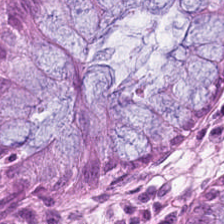Hematoxylin and eosin. The tissue here is benign colonic mucosa.
